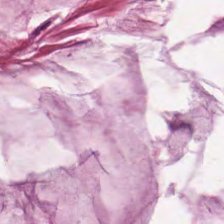Brightfield microscopy. H&E.
{"tissue_type": "mucin"}
